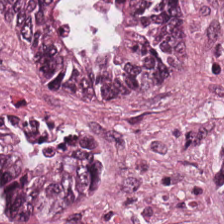H&E stain. Q: What tissue is shown?
A: It is malignant epithelium.
